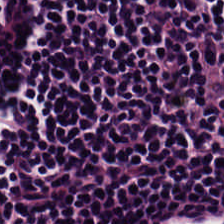H&E stain. 224×224 px tile. Q: What type of tissue is this?
A: This is lymphocytic infiltrate.
